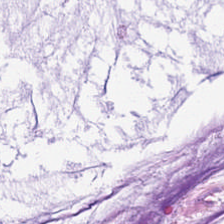Hematoxylin-and-eosin stained section — This field is extracellular mucin.
